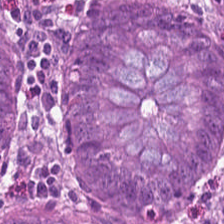H&E patch showing normal colon mucosa.
